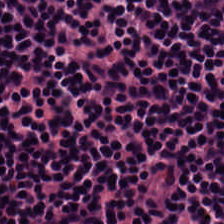H&E; FFPE — The predominant tissue is lymphocyte aggregate.
